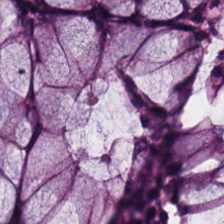Hematoxylin-and-eosin stained section. Brightfield microscopy. FFPE. {"tissue_type": "benign colonic mucosa"}
